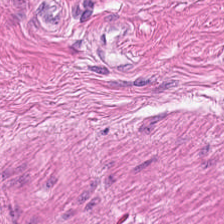Finding → smooth muscle.
